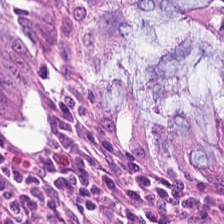Stain: H&E stain.
Resolution: 0.5 µm per pixel.
Classification: normal colonic mucosa.
